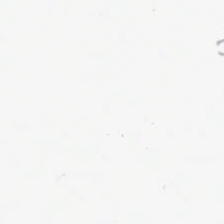Formalin-fixed paraffin-embedded section; hematoxylin-and-eosin stained section.
Field content = no tissue.
